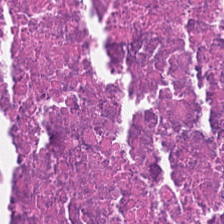0.5 microns per pixel · H&E. Finding → cellular debris.
